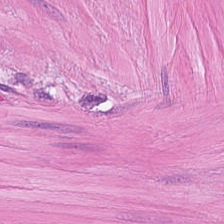H&E — Tissue type: muscularis.
